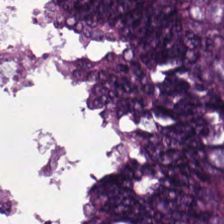224×224 px tile; H&E stain; 0.5 microns per pixel — Tissue: adenocarcinoma.
